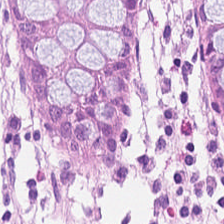Normal colonic mucosa.
